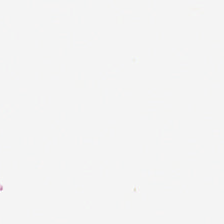This field is background (no tissue).
